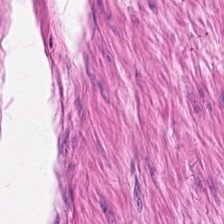Stain: H&E.
Preparation: FFPE tissue section.
Tissue type: smooth muscle.
